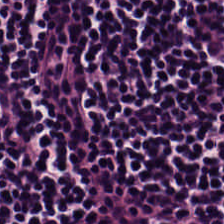Hematoxylin-and-eosin stained section. Showing lymphocyte aggregate.
